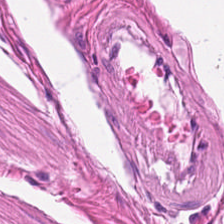Whole-slide-image patch · H&E.
This patch shows muscularis.
